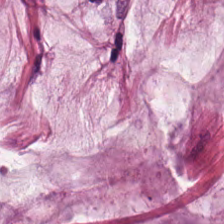Tissue = extracellular mucin.
